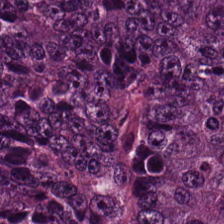Hematoxylin and eosin · 20× equivalent magnification — Classification — colorectal adenocarcinoma.
